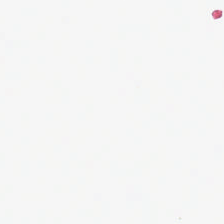Hematoxylin-and-eosin stained section. Background.
